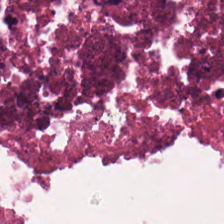WSI patch · H&E-stained tissue section · 20× equivalent magnification.
Histology — necrotic debris.
